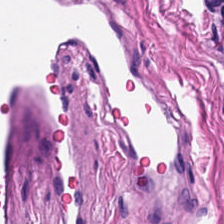FFPE tissue section · H&E stain.
This patch shows muscularis.
